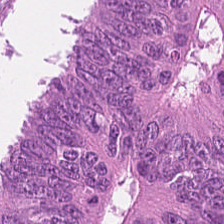Hematoxylin and eosin — The tissue class is adenocarcinoma.
